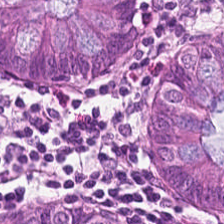This field is normal colon mucosa.
